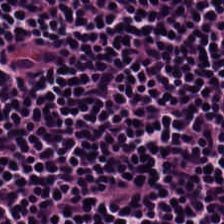H&E-stained tissue section. Q: What tissue is shown?
A: The field shows lymphocytes.
